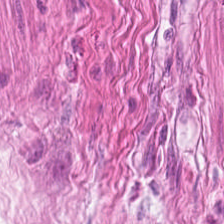H&E-stained section; the field shows smooth-muscle tissue.
